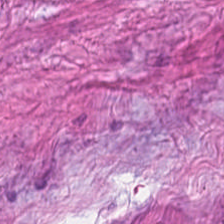{"tissue_type": "tumor-associated stroma"}
